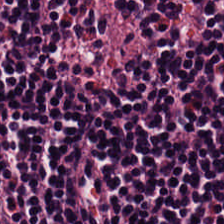Hematoxylin and eosin.
Lymphoid infiltrate.
